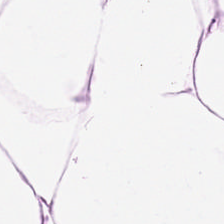Stain: hematoxylin and eosin.
Classification: adipose tissue.
